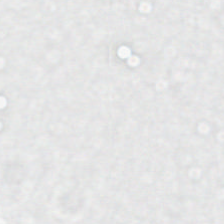FFPE tissue section · H&E.
Q: What is shown in this field?
A: The field shows empty background.
